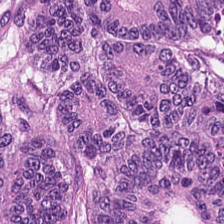H&E stain.
Q: Identify the tissue.
A: It is tumor epithelium.
